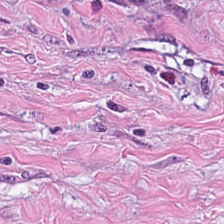H&E. Formalin-fixed paraffin-embedded section. Brightfield.
Tissue: cancer-associated stroma.
